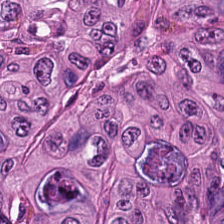Hematoxylin and eosin. 224×224 px tile. Classification = adenocarcinoma.
